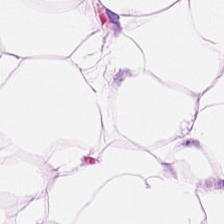Predominantly adipose.
